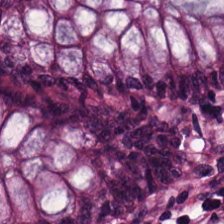Hematoxylin and eosin. Q: What is the predominant tissue type?
A: The field shows normal colonic mucosa.
